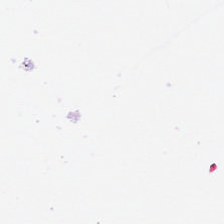Hematoxylin-and-eosin stained section. Classification — background.
